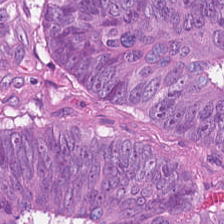Hematoxylin-and-eosin stained section; 20× equivalent magnification — The predominant tissue is malignant epithelium.
